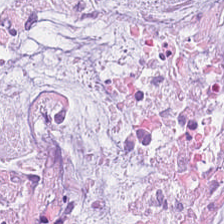Stain: hematoxylin and eosin.
Tissue class: mucus.
